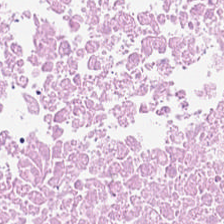FFPE tissue section. 224×224 px patch. Hematoxylin-and-eosin stained section — Classification: debris.
